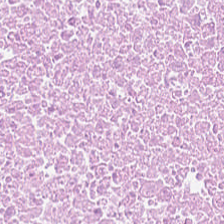Predominantly cellular debris.
